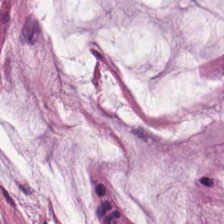Hematoxylin-and-eosin stained section; whole-slide-image patch. Mucin.
